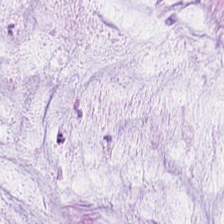Tissue class — mucus.
